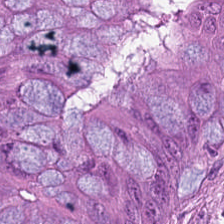224×224 pixel tile; hematoxylin and eosin.
Classification — adenocarcinoma.
